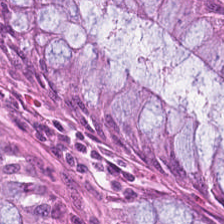FFPE · whole-slide-image patch · hematoxylin-and-eosin stained section.
This field is benign colonic mucosa.
